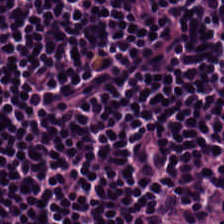Stain: H&E-stained tissue section.
Acquisition: brightfield.
Tile size: 224×224 pixel tile.
Classification: lymphocyte aggregate.
